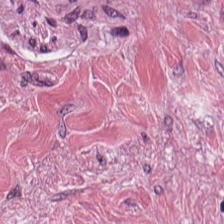Hematoxylin and eosin.
This field is tumor stroma.
